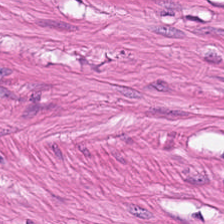Q: What is the predominant tissue type?
A: It is smooth-muscle tissue.
